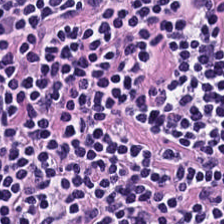Hematoxylin and eosin. Showing lymphocytes.
